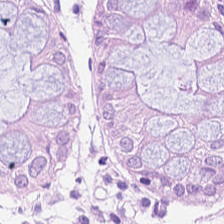0.5 µm/px. Hematoxylin and eosin. This field is benign colonic mucosa.
